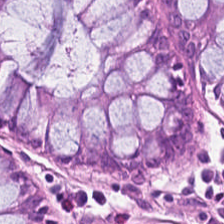Brightfield · H&E — This field is non-neoplastic colon mucosa.
